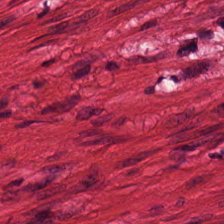H&E-stained tissue section. Tissue — smooth-muscle tissue.
